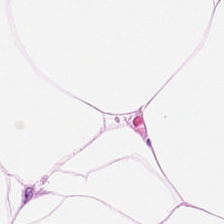H&E-stained tissue section. Brightfield. Formalin-fixed paraffin-embedded section. Q: What is the predominant tissue type?
A: It is adipose tissue.
